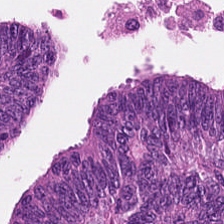224×224 pixel tile · FFPE · hematoxylin and eosin.
Adenocarcinoma.
